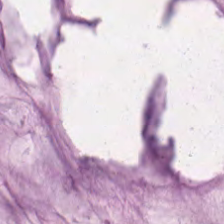H&E — extracellular mucin.
